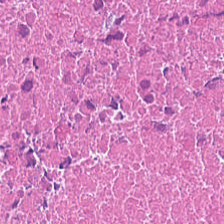Stain: H&E-stained tissue section.
Preparation: FFPE tissue section.
Classification: necrotic debris.
